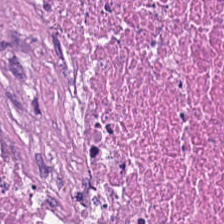The tissue class is cellular debris.
